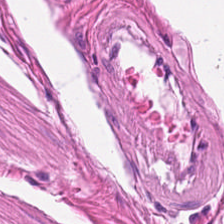20× equivalent magnification. Hematoxylin and eosin — Predominant tissue: muscularis.
